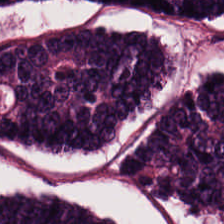Hematoxylin and eosin; brightfield.
Showing colorectal adenocarcinoma.
